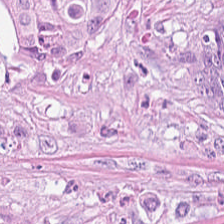H&E-stained tissue section. Tissue class — tumor epithelium.
